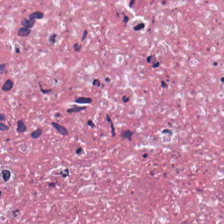Stain: hematoxylin and eosin.
Tile size: 224×224 px patch.
Classification: necrotic debris.
